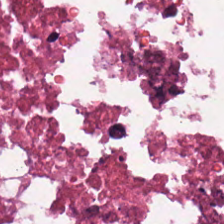FFPE. Hematoxylin-and-eosin stained section. WSI patch — Histology — cellular debris.
